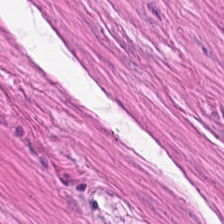Stain: hematoxylin and eosin.
Classification: smooth-muscle tissue.
